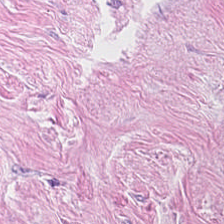Showing tumor stroma.
